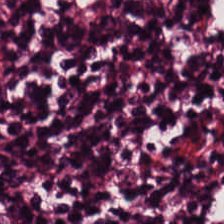Histology — lymphocytes.
